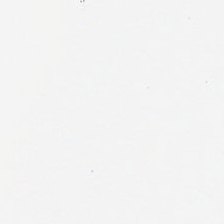Hematoxylin and eosin.
No tissue present; background only.
